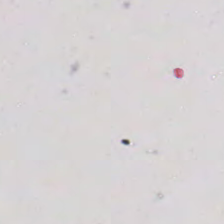H&E. Whole-slide-image patch. Content = background.
